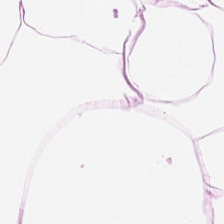Q: What is the predominant tissue type?
A: This is fat tissue.
